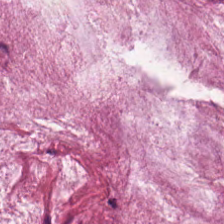WSI patch · 224×224 px tile · hematoxylin-and-eosin stained section — The classification is mucin.
